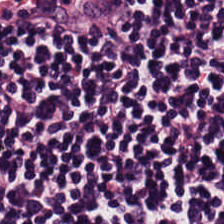Hematoxylin-and-eosin stained section — Tissue type: lymphoid infiltrate.
